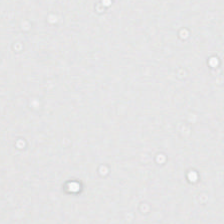{"content": "background (no tissue)"}
